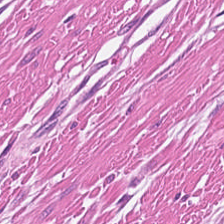Hematoxylin and eosin. The tissue here is smooth muscle.
